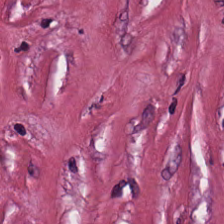Hematoxylin and eosin — The tissue class is desmoplastic stroma.
